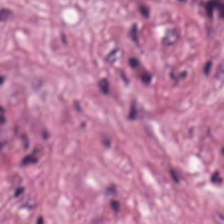Formalin-fixed paraffin-embedded section; H&E.
This patch shows desmoplastic stroma.
